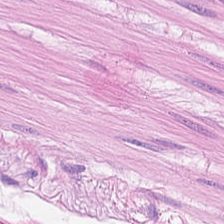Finding → muscularis.
